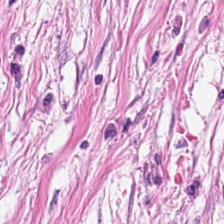Hematoxylin-and-eosin stained section. 224×224 px patch.
The predominant tissue is cancer-associated stroma.
